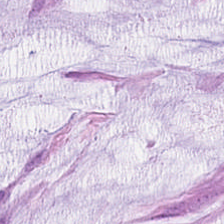Hematoxylin and eosin; 20× equivalent magnification.
Classification — extracellular mucin.
